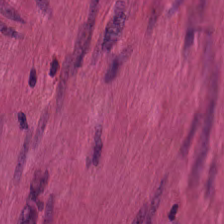Hematoxylin and eosin. {"tissue_type": "smooth muscle"}
